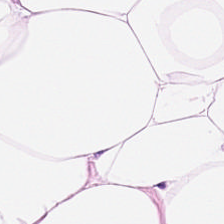{"tissue_type": "adipose tissue"}
